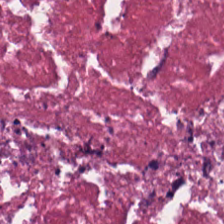Q: What type of tissue is this?
A: This is cellular debris.
